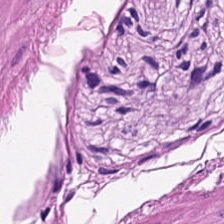Stain: H&E stain.
Tissue class: smooth muscle.
